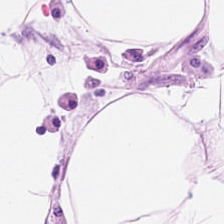20× equivalent magnification; hematoxylin and eosin. Adipocytes.
